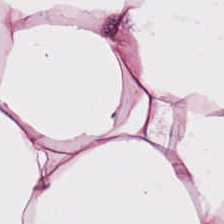Hematoxylin-and-eosin stained section — The predominant tissue is adipocytes.
